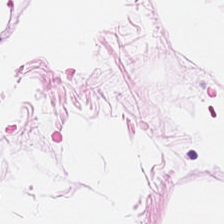The predominant tissue is adipocytes.
